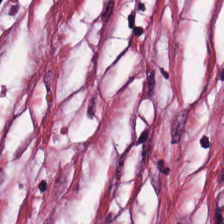Hematoxylin and eosin · 224×224 px tile · 20× equivalent magnification.
Finding — desmoplastic stroma.
